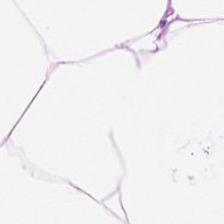Stain: H&E.
Tissue: adipose.
